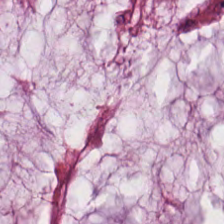FFPE; hematoxylin-and-eosin stained section; 0.5 µm per pixel. {"tissue_type": "extracellular mucin"}
